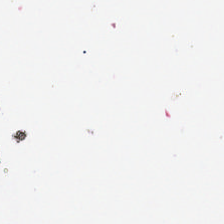H&E-stained tissue section. This patch shows empty background.
